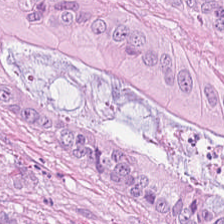Predominant tissue — malignant epithelium.
